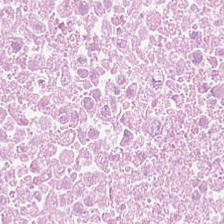Hematoxylin-and-eosin stained section. Tissue class — cellular debris.
